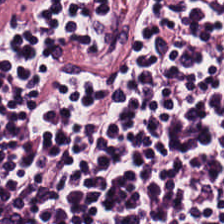Hematoxylin-and-eosin stained section; FFPE tissue section — Predominantly lymphocytic infiltrate.
